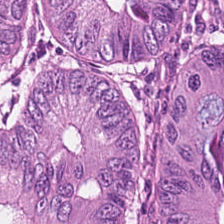Hematoxylin and eosin. FFPE tissue section.
This field is adenocarcinoma.
